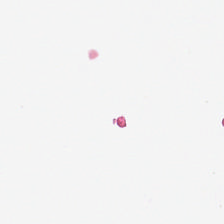H&E-stained tissue section. Background — no tissue in this field.
